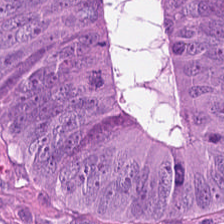H&E stain. 0.5 µm/px. 224×224 px tile — Showing adenocarcinoma.
